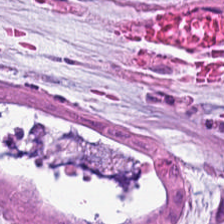224×224 px patch; brightfield microscopy; hematoxylin-and-eosin stained section — Tissue = mucin.
